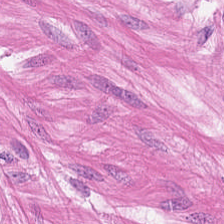H&E. 0.5 microns per pixel.
The tissue here is muscularis.
